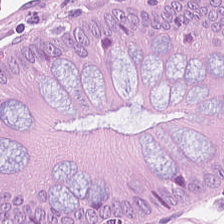0.5 µm per pixel. H&E stain.
The tissue here is non-neoplastic colon mucosa.
